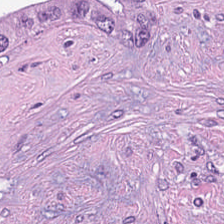Formalin-fixed paraffin-embedded section · H&E · 224×224 px patch.
This patch shows cellular debris.
